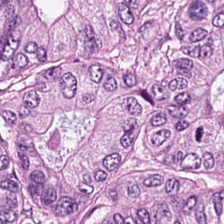Hematoxylin-and-eosin stained section. Q: What tissue is shown?
A: Tumor epithelium.
